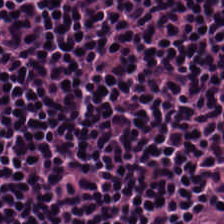Hematoxylin and eosin — Q: What type of tissue is this?
A: This is lymphocyte aggregate.
